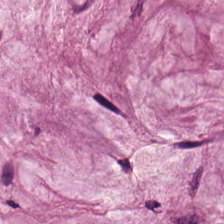FFPE. H&E — This patch shows mucin.
